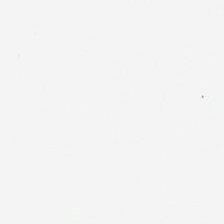224×224 px patch · H&E-stained tissue section — No tissue present; background only.
